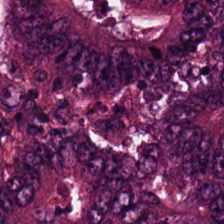Predominantly colorectal adenocarcinoma.
